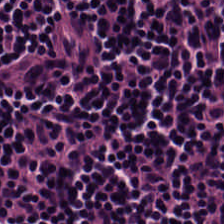Lymphocytes.
